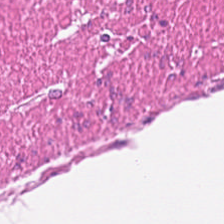Whole-slide-image patch. H&E stain — Q: What is the predominant tissue type?
A: Smooth-muscle tissue.
